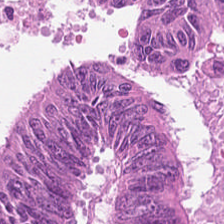Hematoxylin-and-eosin stained section. {"tissue_type": "colorectal adenocarcinoma"}
